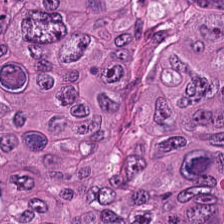H&E-stained tissue section · 224×224 px patch. This patch shows adenocarcinoma.
